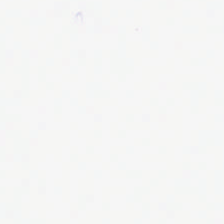FFPE; H&E-stained tissue section; 0.5 µm/px — Content = empty background.
